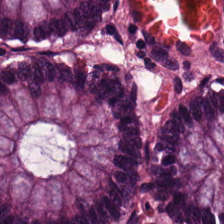H&E.
Tissue class — normal colon mucosa.
